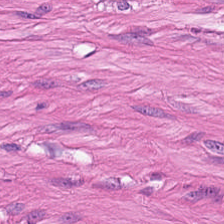H&E stain · 224×224 px tile. The tissue here is smooth muscle.
